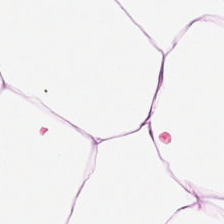Finding → fat tissue.
